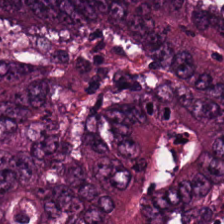Stain: H&E-stained tissue section.
Resolution: 0.5 microns per pixel.
Tissue class: malignant epithelium.
